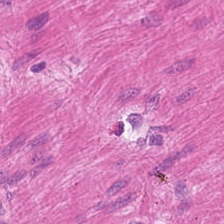H&E-stained tissue section.
This patch shows smooth muscle.
